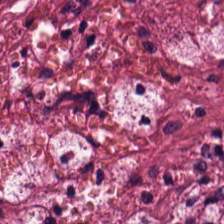H&E-stained tissue section. Impression → tumor-associated stroma.
